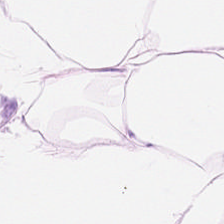The tissue type is adipose.
